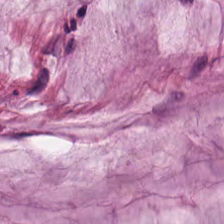Classification = mucin.
